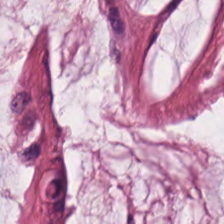Predominant tissue = mucus.
